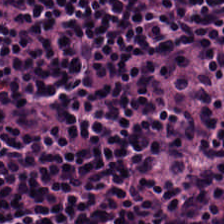H&E-stained tissue section.
{"tissue_type": "lymphoid infiltrate"}
